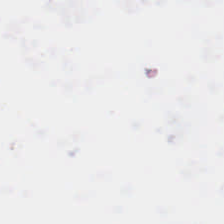Stain: H&E stain.
Content: background.
